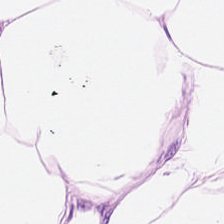224×224 pixel tile; H&E. The tissue class is adipocytes.
